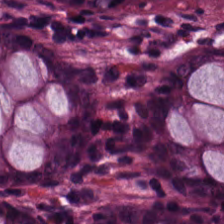Predominant tissue = non-neoplastic colon mucosa.
